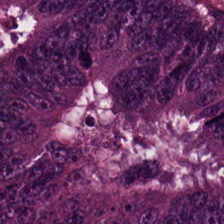Hematoxylin-and-eosin stained section — {"tissue_type": "colorectal adenocarcinoma epithelium"}
